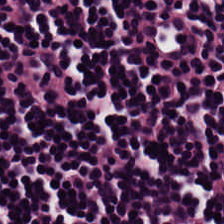H&E stain. Lymphoid infiltrate.
